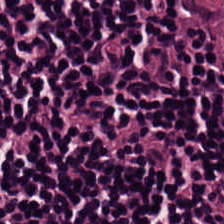Hematoxylin and eosin.
{"tissue_type": "lymphocyte aggregate"}
